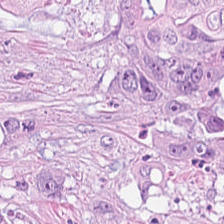Hematoxylin-and-eosin section: tumor epithelium.
